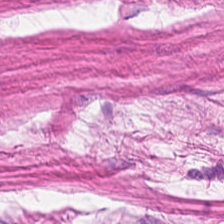Q: What is shown here?
A: The field shows smooth-muscle tissue.
